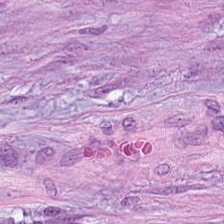Hematoxylin-and-eosin stained section.
{"tissue_type": "tumor-associated stroma"}
